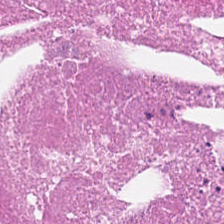Predominantly necrotic debris.
